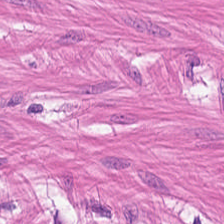0.5 microns per pixel · H&E stain.
This patch shows muscularis.
